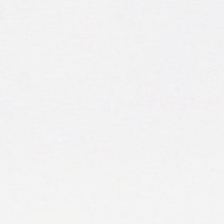H&E-stained tissue section. Background — no tissue in this field.
